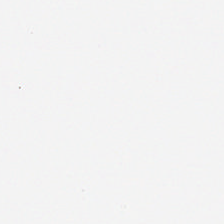Q: What is shown in this field?
A: Background (no tissue).
